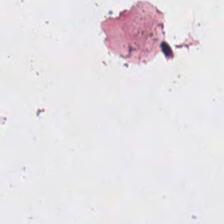H&E-stained tissue section; 20× equivalent magnification. This field is background (no tissue).
